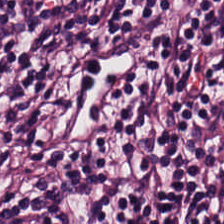Hematoxylin-and-eosin stained section · brightfield · 224×224 px patch.
This patch shows lymphocytic infiltrate.
